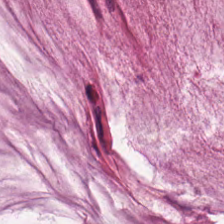0.5 microns per pixel; hematoxylin and eosin.
{"tissue_type": "mucin"}
